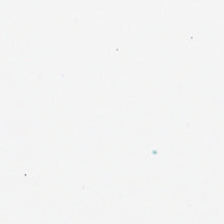H&E stain — No tissue present; background only.
